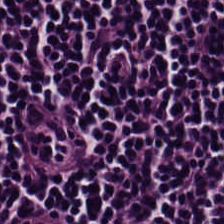224×224 px tile. Brightfield. Hematoxylin and eosin. This field is lymphoid infiltrate.
